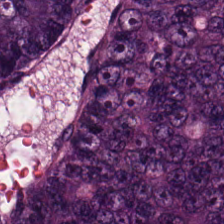Hematoxylin-and-eosin stained section.
The predominant tissue is colorectal adenocarcinoma.
